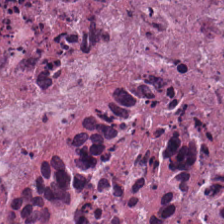H&E — Q: What is shown here?
A: Debris.
